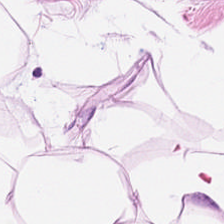Hematoxylin and eosin.
{"tissue_type": "adipocytes"}
